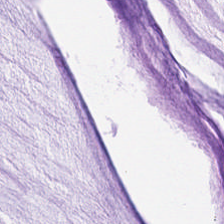Hematoxylin-and-eosin stained section. This field is extracellular mucin.
